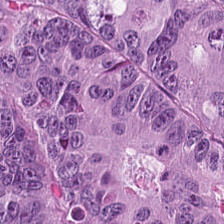H&E stain. 224×224 pixel tile.
The tissue here is tumor epithelium.
